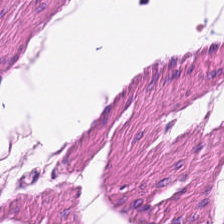Stain: hematoxylin-and-eosin stained section.
Classification: smooth-muscle tissue.
